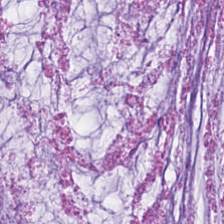H&E-stained tissue section.
Predominantly mucin.
